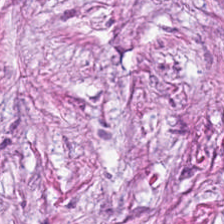H&E; FFPE tissue section.
Q: What is the predominant tissue type?
A: The field shows desmoplastic stroma.
